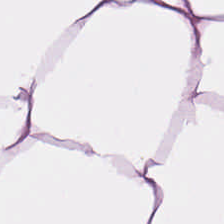Hematoxylin and eosin. Tissue class: adipocytes.
